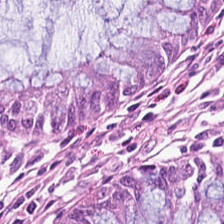Hematoxylin-and-eosin stained section. The predominant tissue is normal colon mucosa.
